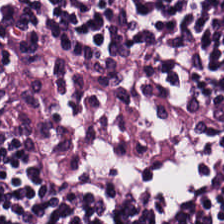Stain: hematoxylin and eosin.
Resolution: 0.5 µm/px.
Preparation: formalin-fixed paraffin-embedded section.
Classification: lymphocytes.
